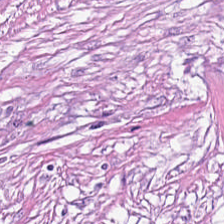H&E-stained tissue section — Showing tumor-associated stroma.
